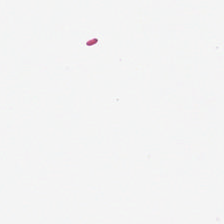Hematoxylin-and-eosin stained section.
Classification = background.
